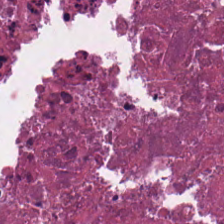Hematoxylin-and-eosin stained section. Q: Classify this patch.
A: The field shows debris.
